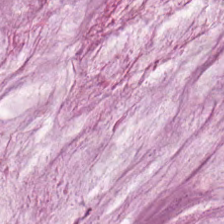H&E · 224×224 px tile. Showing mucin.
